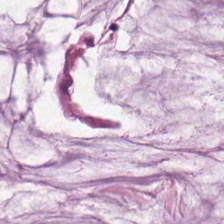Tissue class — extracellular mucin.
